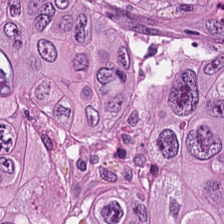Predominant tissue = tumor epithelium.
